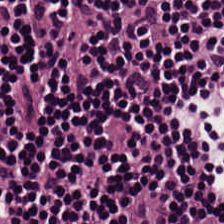H&E stain.
Lymphocytes.
